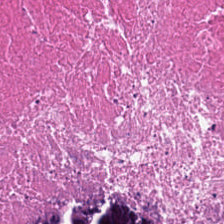Hematoxylin-and-eosin stained section.
Q: Classify this patch.
A: The field shows necrotic debris.
